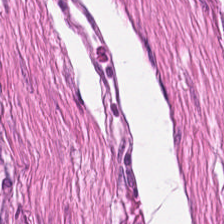WSI patch; hematoxylin-and-eosin stained section — Q: What is the predominant tissue type?
A: It is muscularis.
